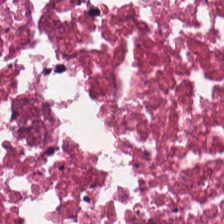Q: What type of tissue is this?
A: It is necrotic debris.
